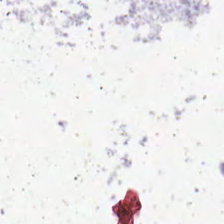0.5 µm per pixel; H&E-stained tissue section; brightfield. Background — no tissue in this field.
